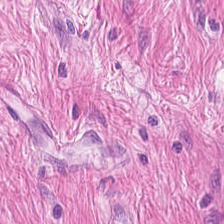Hematoxylin-and-eosin stained section — This field is smooth muscle.
